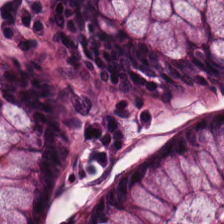H&E — The tissue is benign colonic mucosa.
